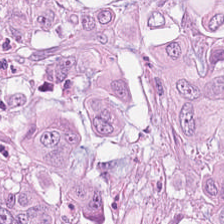Showing tumor epithelium.
